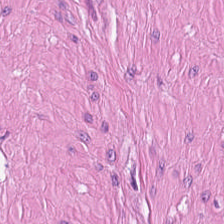H&E-stained tissue section.
{"tissue_type": "smooth-muscle tissue"}
